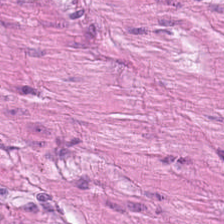224×224 px tile; H&E-stained tissue section.
Classification: smooth muscle.
